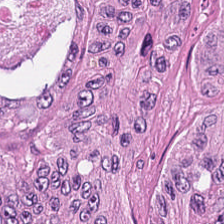Formalin-fixed paraffin-embedded section; H&E stain.
The predominant tissue is colorectal adenocarcinoma.
